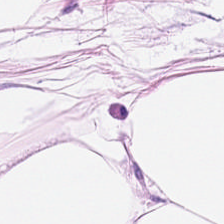H&E-stained tissue section; 224×224 px patch — This field is adipocytes.
